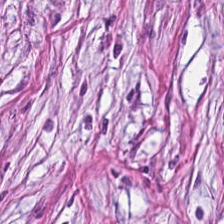FFPE; hematoxylin-and-eosin stained section — This patch shows cancer-associated stroma.
